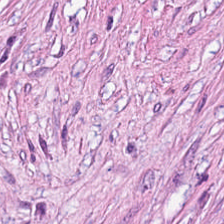Stain: H&E.
Tissue: cancer-associated stroma.
